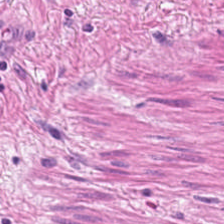Hematoxylin and eosin. Smooth muscle.
